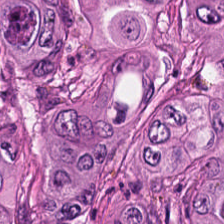Predominant tissue = colorectal adenocarcinoma epithelium.
